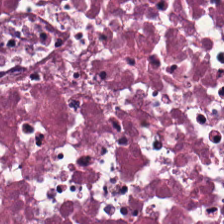Q: What tissue type is shown here?
A: This is cellular debris.
